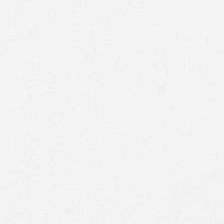H&E-stained tissue section. 224×224 pixel tile. This field is background (no tissue).
